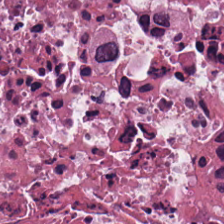Whole-slide-image patch · hematoxylin and eosin.
Q: What type of tissue is this?
A: The field shows necrotic debris.
